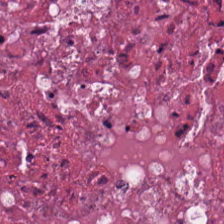{"tissue_type": "debris"}
